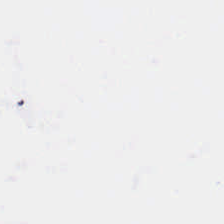Field content = no tissue.
